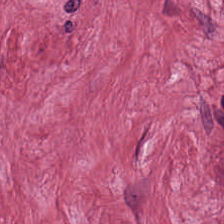Hematoxylin and eosin · 0.5 µm per pixel.
The tissue here is tumor-associated stroma.
